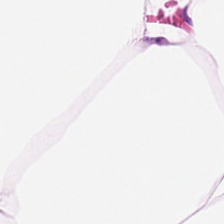H&E-stained tissue section. Finding — adipose tissue.
